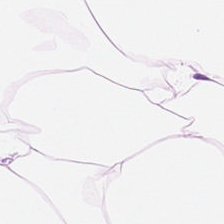Classification: adipocytes.
